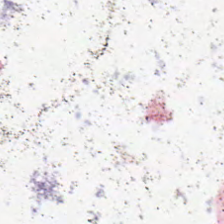WSI patch. H&E stain. 224×224 px patch. No tissue present; background only.
